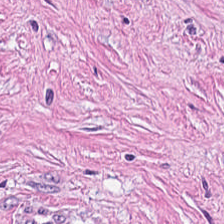H&E-stained tissue section showing desmoplastic stroma.
